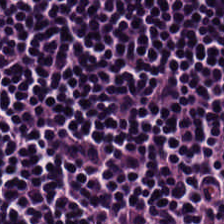H&E — Tissue: lymphocyte aggregate.
